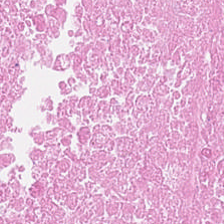Brightfield microscopy · H&E-stained tissue section · FFPE tissue section. Predominantly necrotic debris.
